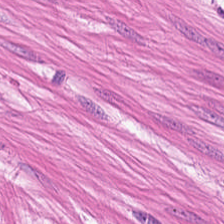H&E — The tissue is smooth muscle.
